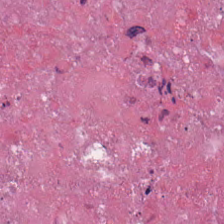H&E — cellular debris.
